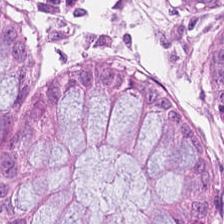Stain: hematoxylin-and-eosin stained section.
Tissue type: normal colon mucosa.
